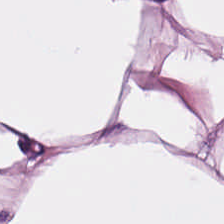Predominantly adipocytes.
